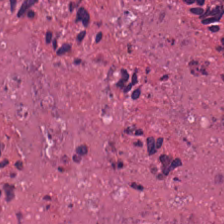Hematoxylin-and-eosin stained section. Predominant tissue = debris.
